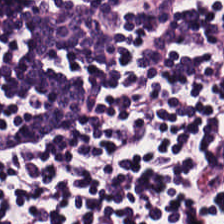H&E stain — {"tissue_type": "lymphocytes"}
